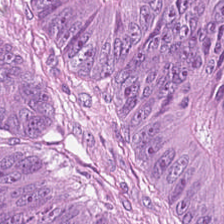Hematoxylin and eosin.
Q: Classify this patch.
A: It is tumor epithelium.
